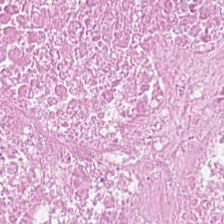Q: What tissue is shown?
A: The field shows necrotic debris.
